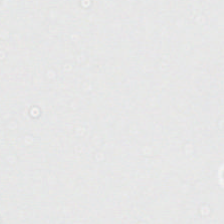0.5 microns per pixel; hematoxylin and eosin.
Q: Classify this patch.
A: No tissue.
